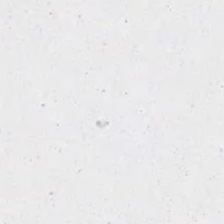Background — no tissue in this field.
